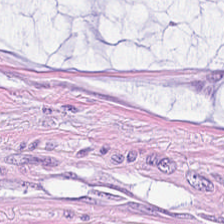H&E stain · formalin-fixed paraffin-embedded section · 0.5 µm per pixel. The tissue here is mucus.
